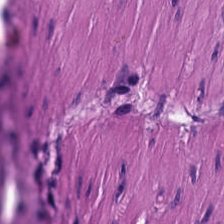20× equivalent magnification. H&E stain.
Histology — muscularis.
